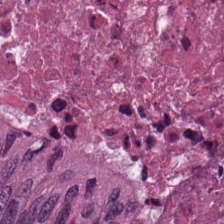Stain: hematoxylin and eosin.
Tissue: debris.
